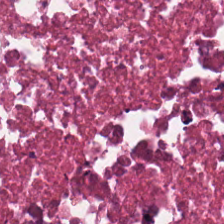Stain: H&E stain.
Classification: debris.
